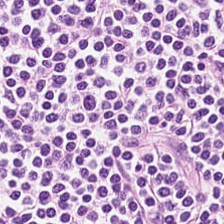H&E-stained tissue section. Tissue — lymphocyte aggregate.
